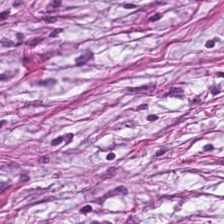Q: What is shown here?
A: The field shows desmoplastic stroma.
